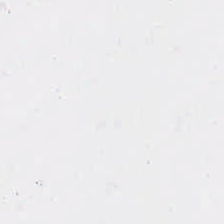WSI patch. H&E stain. FFPE tissue section. Field content = background (no tissue).
